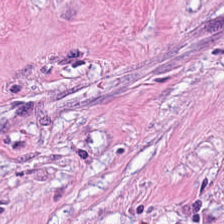Formalin-fixed paraffin-embedded section · 224×224 pixel tile · H&E stain.
Classification: tumor stroma.
